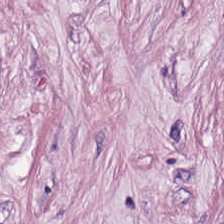Hematoxylin and eosin.
Tissue = tumor stroma.
